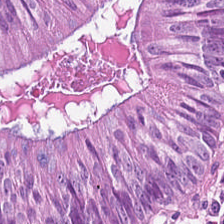224×224 pixel tile; H&E-stained tissue section; formalin-fixed paraffin-embedded section — Q: Classify this patch.
A: Colorectal adenocarcinoma epithelium.
